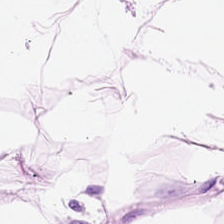H&E stain · 224×224 px tile — Predominantly adipose.
